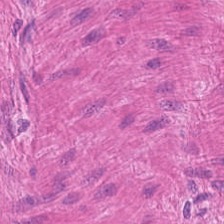Hematoxylin and eosin — The tissue type is smooth-muscle tissue.
